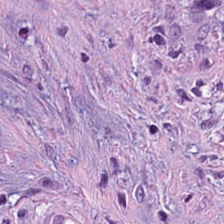H&E-stained tissue section — The tissue here is tumor-associated stroma.
